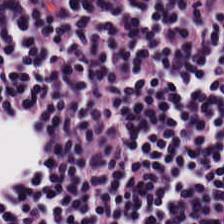H&E-stained tissue section — Impression — lymphocytes.
